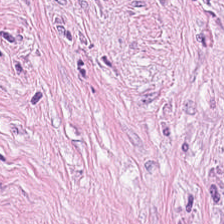H&E stain; 0.5 µm/px; 224×224 pixel tile — Q: What does this patch show?
A: Desmoplastic stroma.
